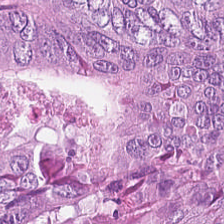0.5 microns per pixel. Hematoxylin and eosin — Malignant epithelium.
